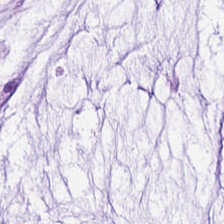Stain: hematoxylin-and-eosin stained section.
Preparation: FFPE.
Tissue: extracellular mucin.
